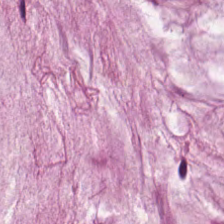H&E stain. Impression → mucin.
